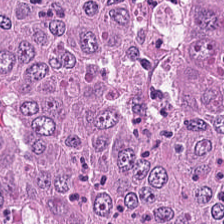Stain: H&E.
Classification: tumor epithelium.
